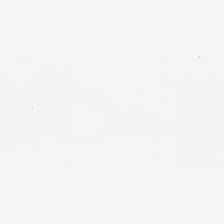Formalin-fixed paraffin-embedded section · 224×224 px patch · hematoxylin and eosin.
Background.
